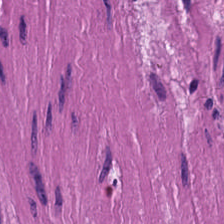Hematoxylin-and-eosin stained section · FFPE tissue section · brightfield.
The classification is smooth muscle.
